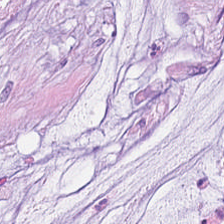H&E stain. 0.5 µm per pixel.
Histology — mucin.
